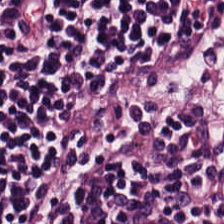Hematoxylin and eosin — Impression — lymphocytic infiltrate.
